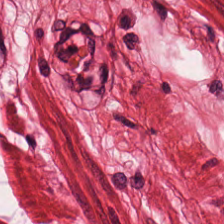Stain: H&E-stained tissue section.
Preparation: formalin-fixed paraffin-embedded section.
Predominant tissue: muscularis.
